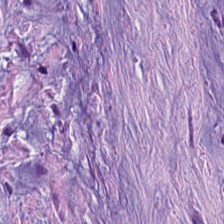Hematoxylin and eosin. 224×224 px tile.
Impression → cancer-associated stroma.
